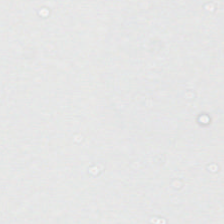Whole-slide-image patch. 0.5 µm/px. H&E — This patch shows background.
